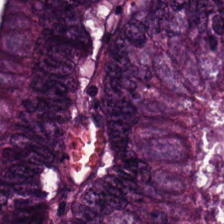This patch shows colorectal adenocarcinoma.
